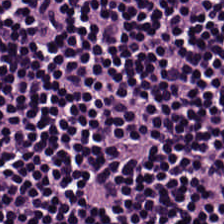224×224 px tile. H&E. {"tissue_type": "lymphocyte aggregate"}
